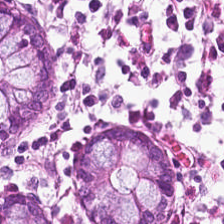H&E. 0.5 µm per pixel — Q: What is the predominant tissue type?
A: This is non-neoplastic colon mucosa.
